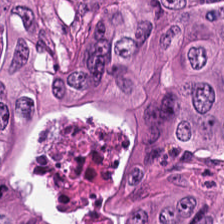Stain: hematoxylin and eosin.
Predominant tissue: colorectal adenocarcinoma.
